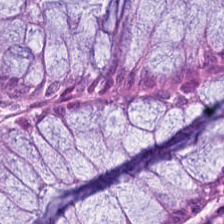H&E-stained tissue section — Predominantly normal colon mucosa.
